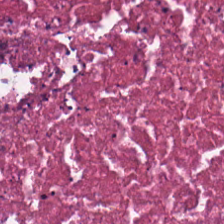H&E.
This patch shows debris.
